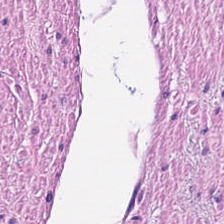H&E. Predominant tissue: muscularis.
